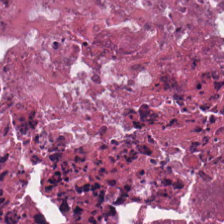Hematoxylin and eosin.
The predominant tissue is cellular debris.
